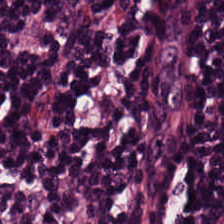H&E stain.
Tissue — lymphocytic infiltrate.
